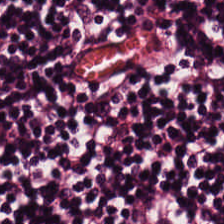Hematoxylin and eosin — This patch shows lymphoid infiltrate.
